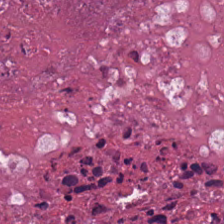Hematoxylin and eosin. 224×224 px tile.
Q: What does this patch show?
A: It is necrotic debris.
